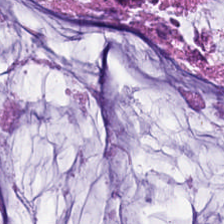FFPE; 224×224 px patch; hematoxylin and eosin — {"tissue_type": "mucin"}
